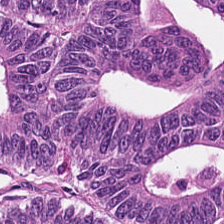H&E-stained tissue section · 0.5 µm per pixel — Showing tumor epithelium.
